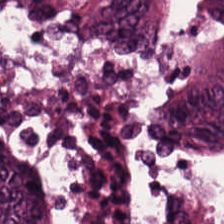H&E stain. Brightfield microscopy. 224×224 pixel tile. Q: Identify the tissue.
A: It is tumor epithelium.
